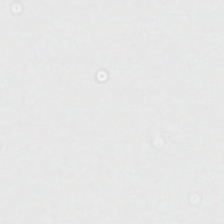FFPE. H&E-stained tissue section. 0.5 µm per pixel — Background — no tissue in this field.
